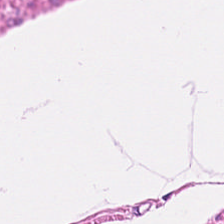H&E.
This field is smooth-muscle tissue.
